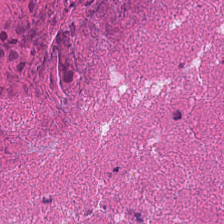Hematoxylin and eosin; 224×224 px tile. The classification is cellular debris.
